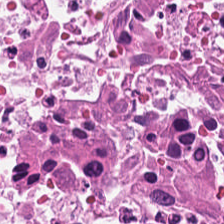Hematoxylin and eosin. Predominantly necrotic debris.
